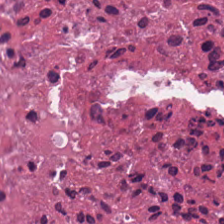Q: What type of tissue is this?
A: Cellular debris.
